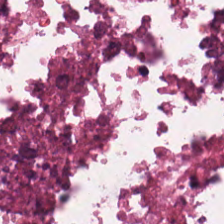Q: Identify the tissue.
A: It is cellular debris.
